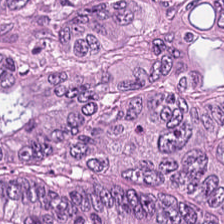Predominant tissue = colorectal adenocarcinoma.
